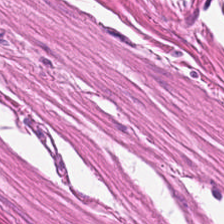H&E stain.
Tissue type: muscularis.
